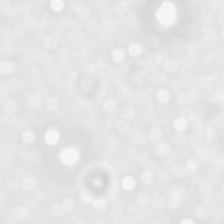FFPE; hematoxylin-and-eosin stained section; 0.5 microns per pixel. Background.
